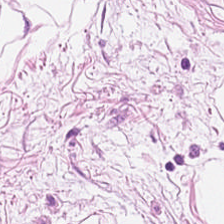Formalin-fixed paraffin-embedded section; hematoxylin and eosin.
Q: What is shown in this field?
A: This is adipose tissue.
